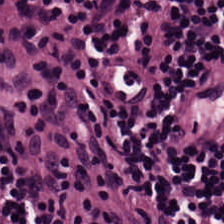Q: What type of tissue is this?
A: Lymphocytes.
